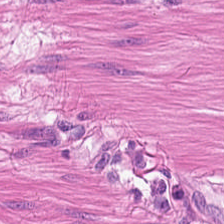H&E — {"tissue_type": "smooth-muscle tissue"}
